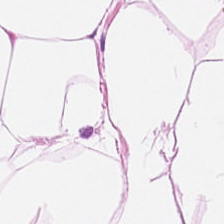H&E stain.
This patch shows adipose tissue.
